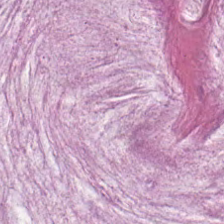Tissue = mucin.
